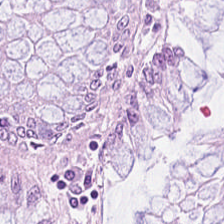H&E-stained tissue section · 224×224 pixel tile — Normal colon mucosa.
